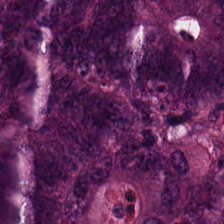Hematoxylin-and-eosin stained section — Predominant tissue — tumor epithelium.
